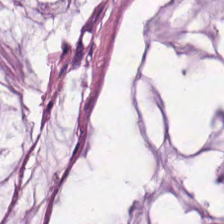The predominant tissue is mucus.
